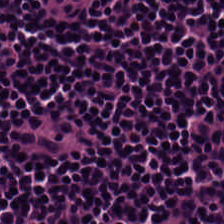224×224 pixel tile; hematoxylin and eosin; 0.5 microns per pixel. This field is lymphocytes.
